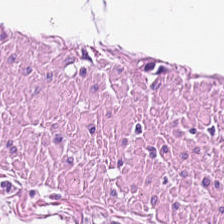Hematoxylin-and-eosin stained section · FFPE. Predominantly smooth-muscle tissue.
